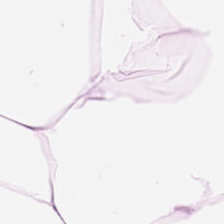This patch shows adipose.
